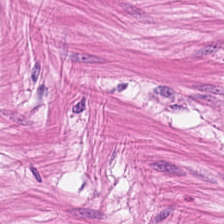Histology — smooth-muscle tissue.
